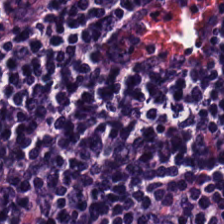H&E. This field is lymphocytic infiltrate.
